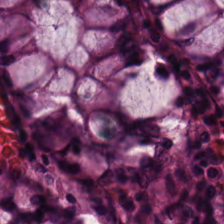Hematoxylin-and-eosin stained section.
Tissue class: normal colonic mucosa.
